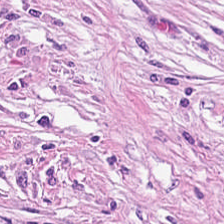Hematoxylin and eosin; 0.5 µm/px; formalin-fixed paraffin-embedded section.
The tissue here is tumor stroma.
